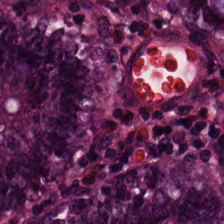H&E-stained tissue section; 0.5 µm per pixel; brightfield — The tissue here is non-neoplastic colon mucosa.
